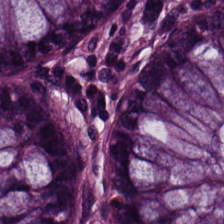FFPE · 224×224 px tile · H&E-stained tissue section. Non-neoplastic colon mucosa.
